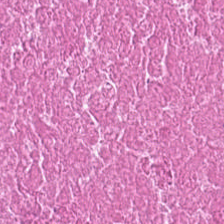Hematoxylin-and-eosin stained section — Tissue class — cellular debris.
